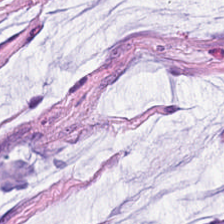H&E-stained tissue section. This field is mucus.
